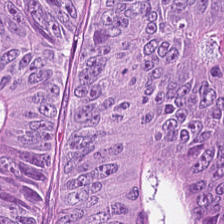Hematoxylin and eosin.
Tissue = tumor epithelium.
